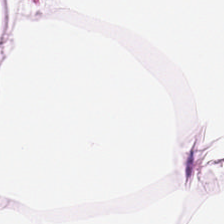H&E. FFPE tissue section. 0.5 µm per pixel. The tissue here is adipose.
